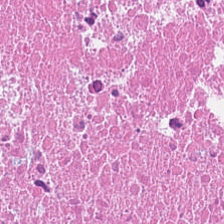224×224 pixel tile. Hematoxylin-and-eosin stained section — The tissue here is necrotic debris.
